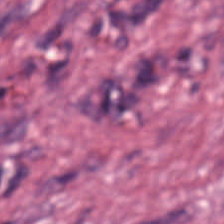Hematoxylin-and-eosin stained section; 0.5 microns per pixel — Q: What is the predominant tissue type?
A: Desmoplastic stroma.
